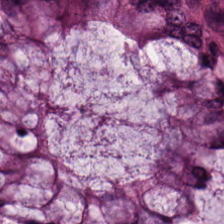The tissue here is normal colonic mucosa.
